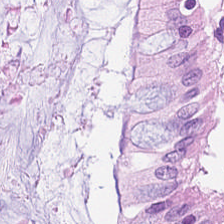H&E-stained tissue section.
Histology → non-neoplastic colon mucosa.
